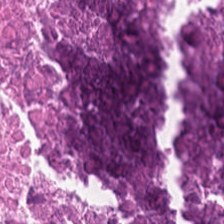0.5 µm/px; formalin-fixed paraffin-embedded section; hematoxylin and eosin.
The tissue here is cellular debris.
